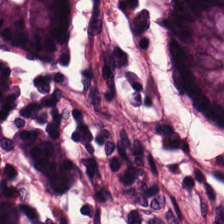H&E-stained tissue section · 0.5 µm per pixel — Q: What is the predominant tissue type?
A: Normal colon mucosa.
